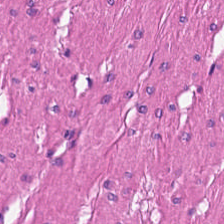H&E patch showing smooth-muscle tissue.
